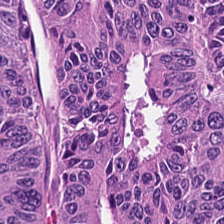H&E-stained tissue section · formalin-fixed paraffin-embedded section — Showing colorectal adenocarcinoma epithelium.
